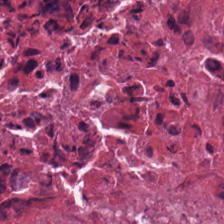Hematoxylin and eosin.
Q: Classify this patch.
A: This is debris.
